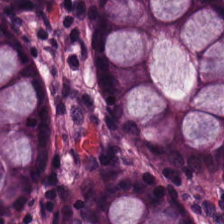Q: What is the predominant tissue type?
A: The field shows benign colonic mucosa.
